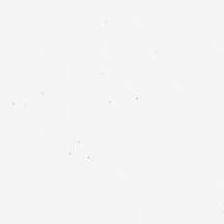H&E-stained tissue section. Background — no tissue in this field.
